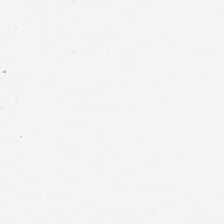Hematoxylin-and-eosin stained section.
Empty field — background.
